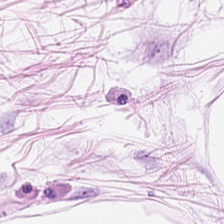WSI patch · hematoxylin-and-eosin stained section — Q: What is shown here?
A: It is adipose.
